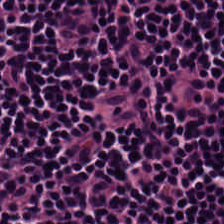H&E stain. Predominantly lymphocytes.
